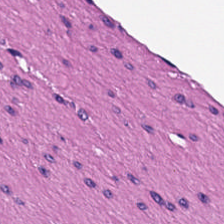Brightfield microscopy; 0.5 µm/px; H&E stain. Q: What is shown in this field?
A: It is muscularis.
